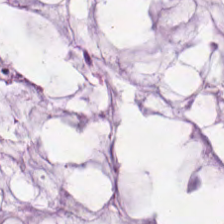Predominant tissue — extracellular mucin.
